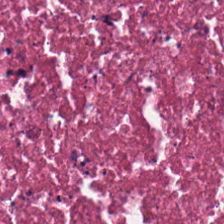FFPE tissue section; hematoxylin-and-eosin stained section; 224×224 px tile — Showing necrotic debris.
